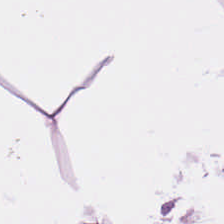H&E — Showing fat tissue.
